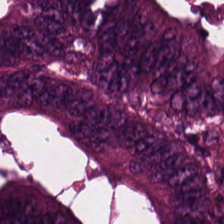H&E. The tissue here is malignant epithelium.
